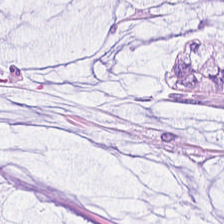This patch shows mucus.
